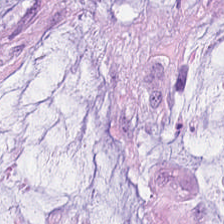Stain: hematoxylin-and-eosin stained section.
Tissue: mucin.
